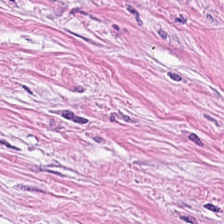Stain: H&E.
Tissue class: tumor-associated stroma.
